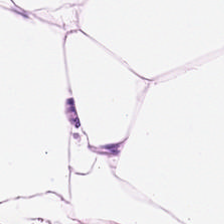H&E stain. Impression — adipose tissue.
